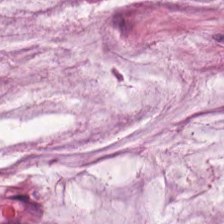H&E-stained tissue section.
The tissue class is extracellular mucin.
